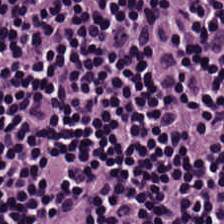Stain: hematoxylin and eosin.
Tissue type: lymphoid infiltrate.
